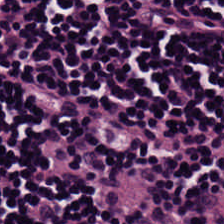Hematoxylin and eosin.
Q: Identify the tissue.
A: Lymphoid infiltrate.
